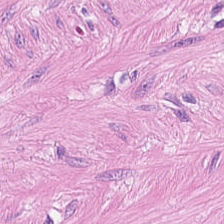Stain: H&E stain.
Tile size: 224×224 px tile.
Tissue: muscularis.
